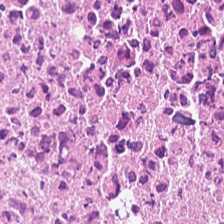224×224 px patch · H&E-stained tissue section. The predominant tissue is cellular debris.
